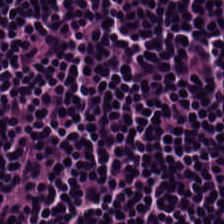{"tissue_type": "lymphocytic infiltrate"}
